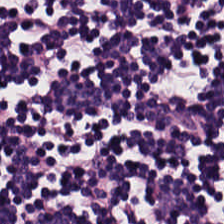H&E stain.
The predominant tissue is lymphoid infiltrate.
